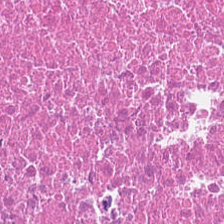FFPE · H&E. Tissue: debris.
